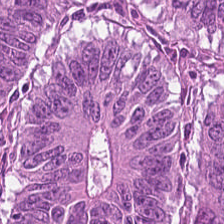Hematoxylin-and-eosin stained section. The tissue here is malignant epithelium.
